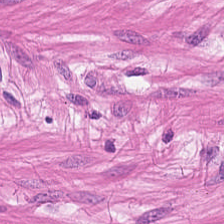Predominant tissue = smooth muscle.
